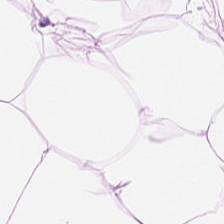H&E stain. This patch shows adipocytes.
